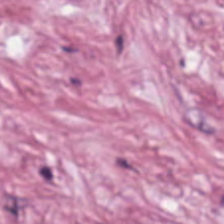H&E — Classification = tumor-associated stroma.
